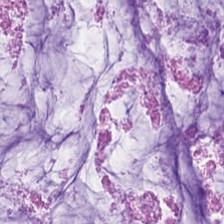Hematoxylin-and-eosin stained section. Formalin-fixed paraffin-embedded section. Q: What does this patch show?
A: This is extracellular mucin.
